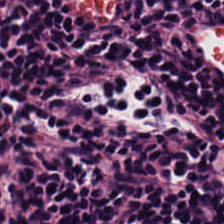Brightfield microscopy. H&E. 224×224 px patch — Tissue class = lymphocyte aggregate.
